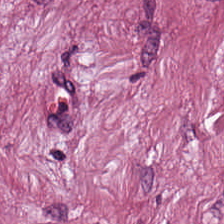Formalin-fixed paraffin-embedded section; H&E stain; 224×224 px patch — Histology → tumor-associated stroma.
